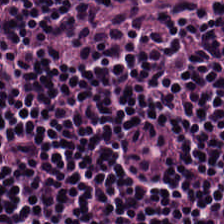H&E — Finding → lymphocytes.
